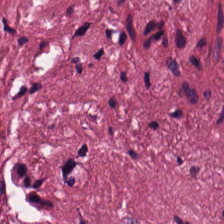Finding — desmoplastic stroma.
